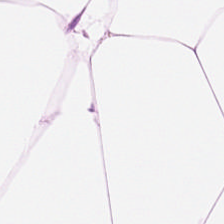Hematoxylin-and-eosin stained section.
Q: Classify this patch.
A: The field shows fat tissue.
